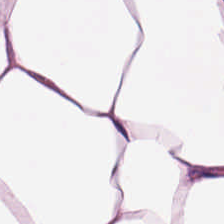Stain: hematoxylin and eosin.
Tissue type: adipocytes.
